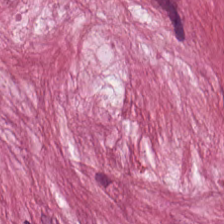H&E.
Impression → tumor stroma.
